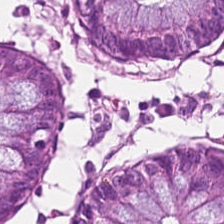H&E stain. The tissue is normal colon mucosa.
